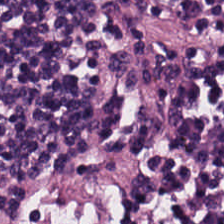H&E stain. Predominantly lymphocyte aggregate.
